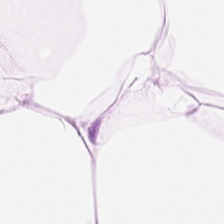H&E stain; brightfield microscopy — Tissue class — fat tissue.
